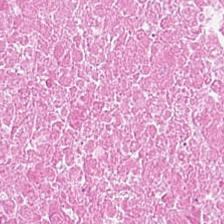Predominant tissue: debris.
